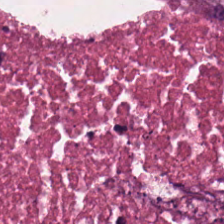WSI patch · hematoxylin-and-eosin stained section · FFPE tissue section — Q: Classify this patch.
A: The field shows debris.
